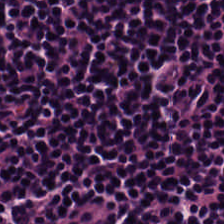H&E stain.
The tissue is lymphocyte aggregate.
